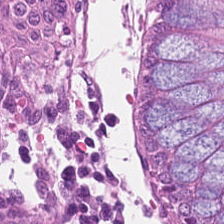H&E; 0.5 microns per pixel; formalin-fixed paraffin-embedded section.
Tissue = normal colonic mucosa.
